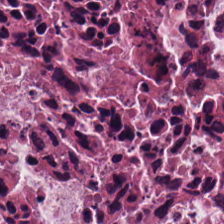Tissue type: necrotic debris.
